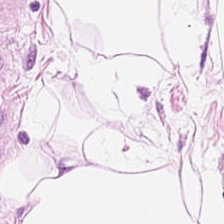H&E stain · 20× equivalent magnification. {"tissue_type": "fat tissue"}
